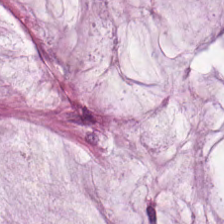224×224 px tile; hematoxylin-and-eosin stained section — The tissue here is mucus.
